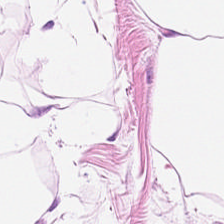Predominant tissue: adipose.
